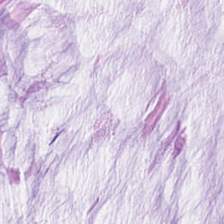Hematoxylin and eosin.
Classification: extracellular mucin.
